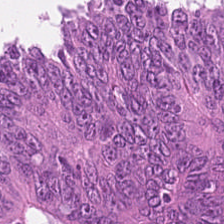H&E stain.
Q: What tissue type is shown here?
A: It is colorectal adenocarcinoma epithelium.
